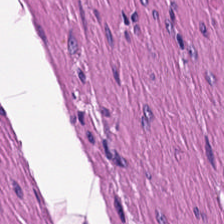0.5 µm per pixel · H&E. Predominant tissue = smooth-muscle tissue.
